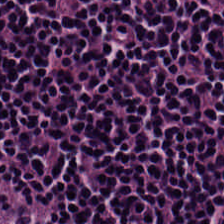Finding → lymphocytes.
